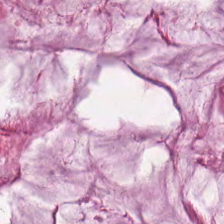H&E-stained tissue section — Finding → extracellular mucin.
